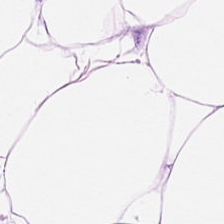0.5 µm per pixel · hematoxylin and eosin. Adipocytes.
